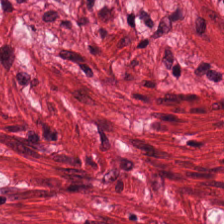Hematoxylin and eosin — Finding — smooth muscle.
